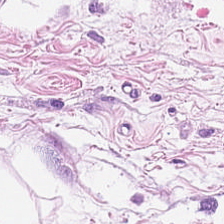Stain: H&E.
Tissue: adipose.
